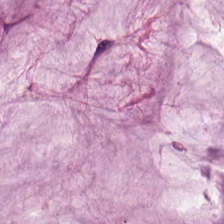Brightfield; hematoxylin and eosin. Showing mucus.
